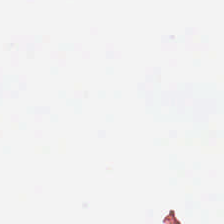H&E. This patch shows no tissue.
